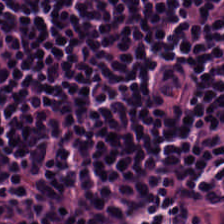WSI patch · hematoxylin-and-eosin stained section.
Tissue type = lymphoid infiltrate.
